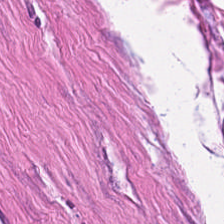Histology — smooth muscle.
